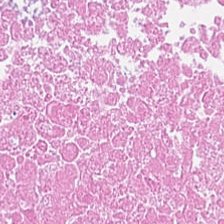Hematoxylin-and-eosin stained section.
Tissue type: debris.
